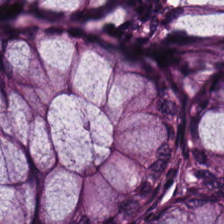FFPE tissue section · 224×224 px patch · H&E.
This patch shows normal colon mucosa.
